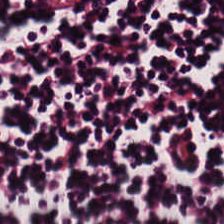0.5 µm/px · formalin-fixed paraffin-embedded section · hematoxylin-and-eosin stained section. Histology — lymphocytic infiltrate.
